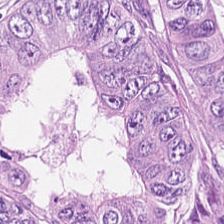Hematoxylin-and-eosin stained section — Finding → tumor epithelium.
